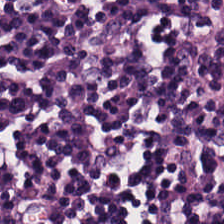H&E-stained section; the field shows lymphocytic infiltrate.
